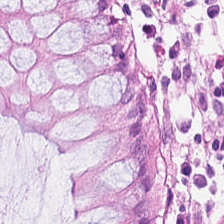224×224 pixel tile; H&E-stained tissue section.
The tissue here is normal colon mucosa.
